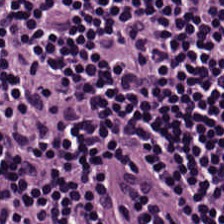Stain: H&E-stained tissue section.
Classification: lymphocyte aggregate.
